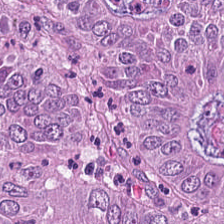WSI patch. H&E-stained tissue section — The predominant tissue is malignant epithelium.
